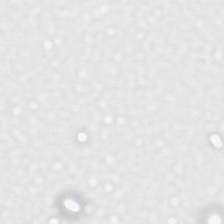Stain: H&E-stained tissue section.
Field content: empty background.
